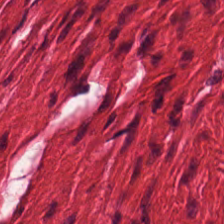H&E stain · brightfield microscopy — Classification: smooth muscle.
